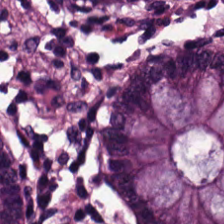H&E-stained tissue section. The predominant tissue is normal colonic mucosa.
